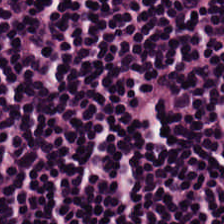H&E-stained tissue section.
Tissue: lymphocyte aggregate.
